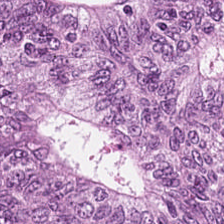Hematoxylin-and-eosin stained section.
This field is malignant epithelium.
